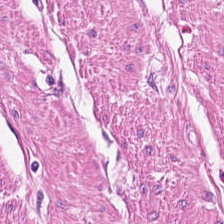H&E-stained tissue section.
Muscularis.
